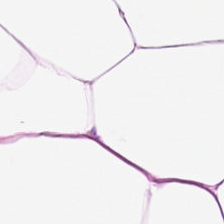Hematoxylin-and-eosin stained section. Q: Identify the tissue.
A: It is adipocytes.
